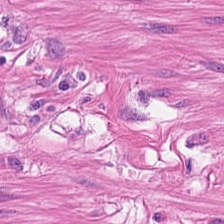Brightfield · hematoxylin-and-eosin stained section — Predominantly smooth muscle.
